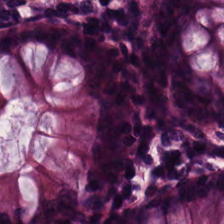Brightfield; 20× equivalent magnification; H&E-stained tissue section.
Benign colonic mucosa.
